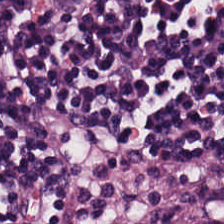Hematoxylin-and-eosin stained section — The predominant tissue is lymphocytic infiltrate.
